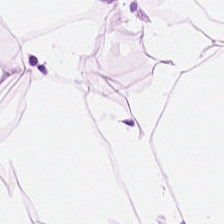Q: Classify this patch.
A: It is adipose tissue.
